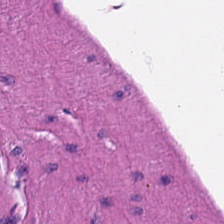FFPE. 224×224 px patch. Hematoxylin and eosin.
This patch shows smooth-muscle tissue.
